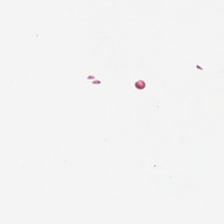H&E stain — Histology — empty background.
